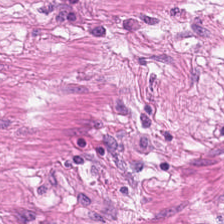H&E stain. {"tissue_type": "smooth-muscle tissue"}
